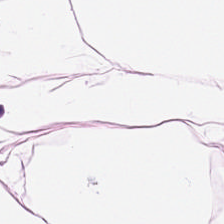H&E; 20× equivalent magnification. This field is fat tissue.
